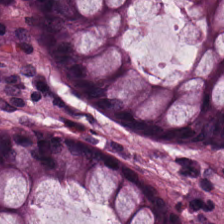Non-neoplastic colon mucosa.
